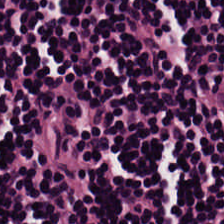FFPE tissue section; H&E-stained tissue section — This field is lymphocytic infiltrate.
